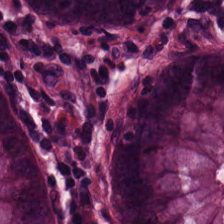0.5 microns per pixel; hematoxylin-and-eosin stained section — This patch shows non-neoplastic colon mucosa.
